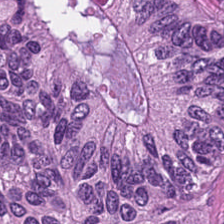H&E-stained tissue section — Q: Classify this patch.
A: This is tumor epithelium.
